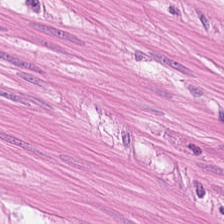Hematoxylin and eosin.
Showing smooth muscle.
